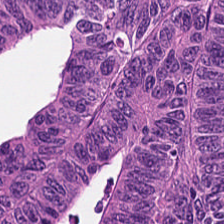H&E-stained tissue section. Tissue: colorectal adenocarcinoma.
